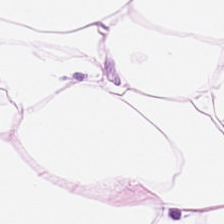H&E stain. {"tissue_type": "adipose"}
